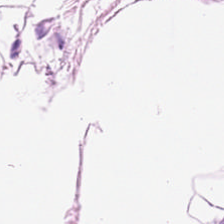H&E stain — Impression — adipose tissue.
